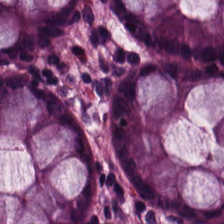Classification — normal colonic mucosa.
